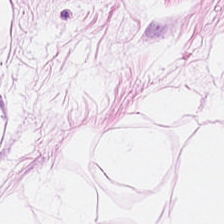224×224 px tile. H&E-stained tissue section.
Predominant tissue — adipose tissue.
